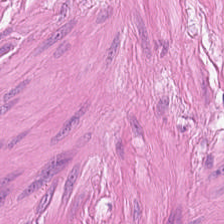224×224 pixel tile; H&E-stained tissue section.
Q: What tissue type is shown here?
A: Muscularis.
